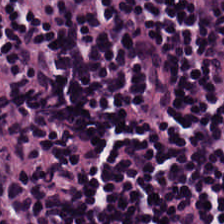Hematoxylin and eosin.
{"tissue_type": "lymphocyte aggregate"}
